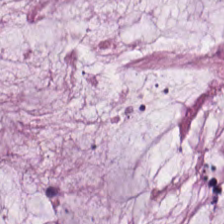H&E stain. WSI patch. Classification — mucin.
